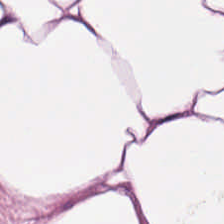Hematoxylin and eosin — Tissue type — adipose tissue.
